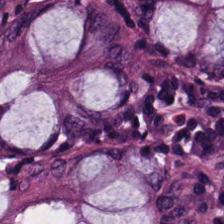Hematoxylin-and-eosin stained section. Brightfield microscopy. 224×224 px patch. Q: What tissue is shown?
A: This is normal colonic mucosa.
